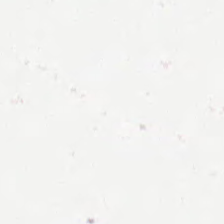FFPE tissue section; H&E — Q: Classify this patch.
A: The field shows background (no tissue).
